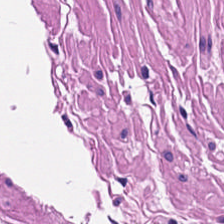Predominant tissue: smooth-muscle tissue.
